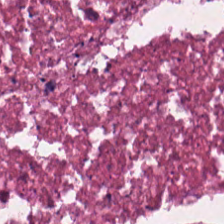H&E-stained tissue section.
This field is cellular debris.
